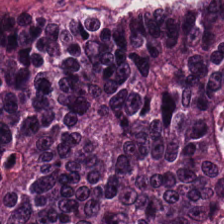0.5 microns per pixel · H&E. Histology → adenocarcinoma.
